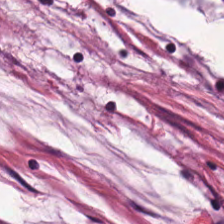H&E-stained tissue section; WSI patch; formalin-fixed paraffin-embedded section. Finding → extracellular mucin.
